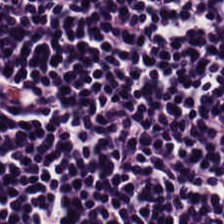Brightfield. Hematoxylin and eosin. Predominant tissue = lymphocyte aggregate.
